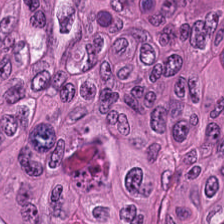224×224 px patch; H&E-stained tissue section — The tissue here is colorectal adenocarcinoma epithelium.
